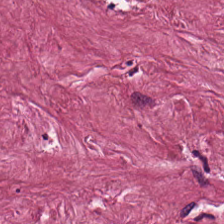Classification — tumor stroma.
